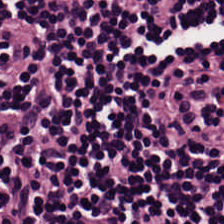H&E stain.
Lymphocyte aggregate.
